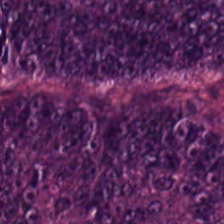H&E · brightfield microscopy · 0.5 µm per pixel.
Classification: malignant epithelium.
